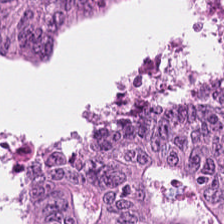H&E stain.
Showing malignant epithelium.
